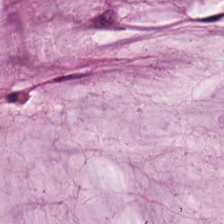Tissue type: mucin.
